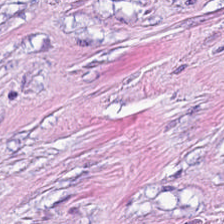H&E. Whole-slide-image patch. Impression → cancer-associated stroma.
